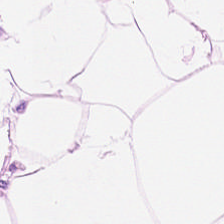Q: What tissue type is shown here?
A: This is adipose.
